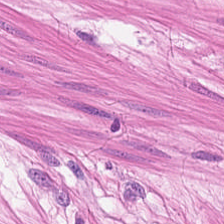Q: What does this patch show?
A: Smooth-muscle tissue.
